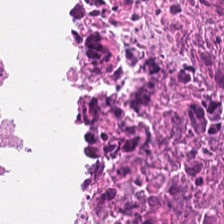H&E-stained tissue section.
This field is cellular debris.
